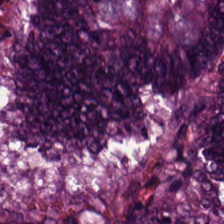Stain: hematoxylin-and-eosin stained section.
Tissue class: colorectal adenocarcinoma epithelium.
